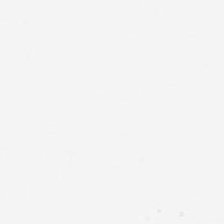Stain: H&E-stained tissue section.
Field content: empty background.
